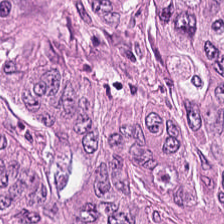H&E stain · 0.5 microns per pixel · brightfield microscopy. This patch shows colorectal adenocarcinoma.
